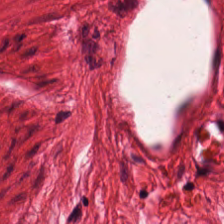Tissue class = smooth muscle.
